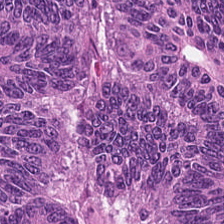H&E.
Predominant tissue = tumor epithelium.
